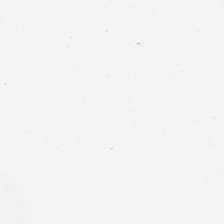Stain: hematoxylin-and-eosin stained section.
Tile size: 224×224 px patch.
Content: empty background.
